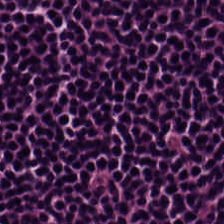FFPE. 0.5 microns per pixel. H&E.
Predominantly lymphoid infiltrate.
